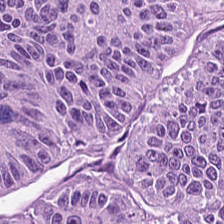Predominantly malignant epithelium.
